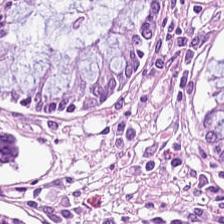224×224 px patch. H&E.
This patch shows benign colonic mucosa.
